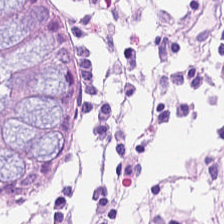224×224 px tile · hematoxylin-and-eosin stained section · 0.5 µm per pixel. Classification — normal colon mucosa.
